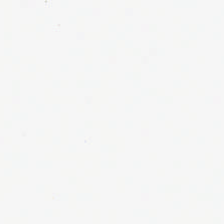H&E stain. 224×224 pixel tile.
Content — empty background.
